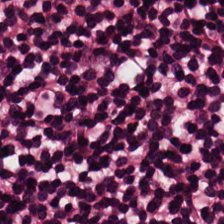Brightfield microscopy; H&E stain. Impression → lymphocytes.
